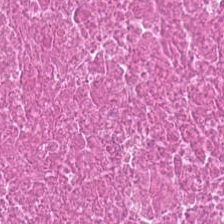Stain: H&E.
Resolution: 0.5 µm per pixel.
Tissue class: necrotic debris.
